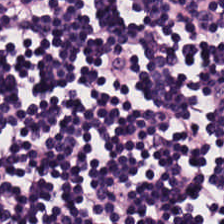Hematoxylin-and-eosin stained section. FFPE tissue section — This patch shows lymphocytic infiltrate.
